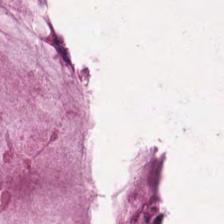Stain: hematoxylin-and-eosin stained section.
Acquisition: WSI patch.
Resolution: 0.5 microns per pixel.
Tissue type: mucin.
